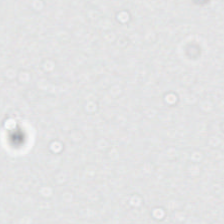H&E-stained tissue section. {"content": "empty background"}
